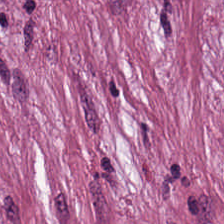20× equivalent magnification. H&E stain. FFPE tissue section.
Q: What is the predominant tissue type?
A: Tumor-associated stroma.
